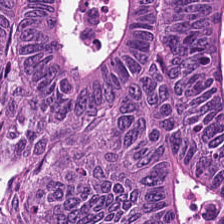H&E-stained tissue section.
Q: What is shown in this field?
A: Malignant epithelium.
